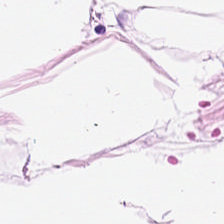The classification is adipose.
